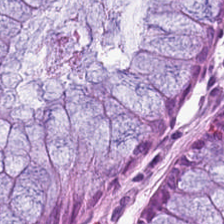Stain: H&E stain.
Tissue class: normal colonic mucosa.
